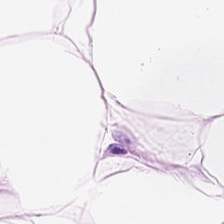H&E-stained tissue section.
{"tissue_type": "adipocytes"}
